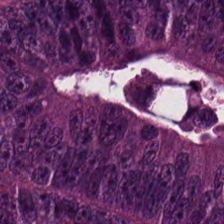H&E-stained tissue section. 224×224 pixel tile.
{"tissue_type": "tumor epithelium"}
